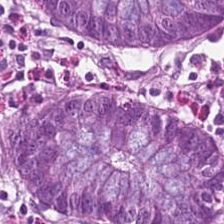Stain: H&E stain.
Predominant tissue: non-neoplastic colon mucosa.
